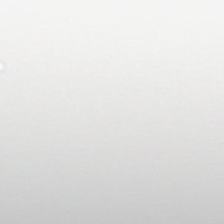224×224 px tile · hematoxylin-and-eosin stained section. No tissue.
